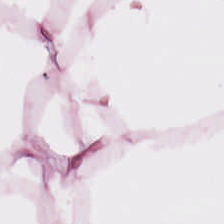H&E.
This field is adipose.
